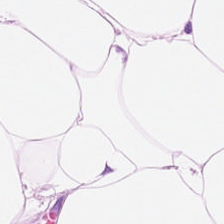Hematoxylin and eosin; 224×224 pixel tile. The tissue here is adipose.
